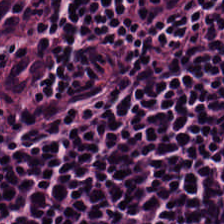Hematoxylin-and-eosin stained section; brightfield microscopy. Classification = lymphocytic infiltrate.
